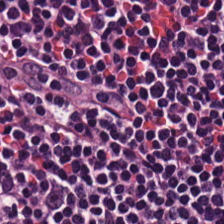Predominantly lymphocyte aggregate.
